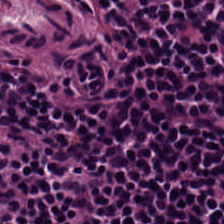H&E stain. Brightfield microscopy. FFPE — This patch shows lymphoid infiltrate.
